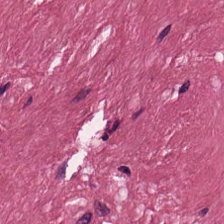0.5 microns per pixel; H&E — {"tissue_type": "tumor stroma"}
